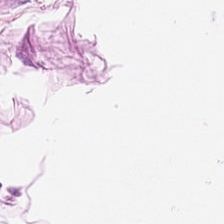Formalin-fixed paraffin-embedded section; H&E stain.
Tissue — adipose.
